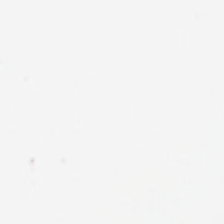{"content": "no tissue"}
